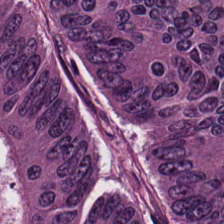This patch shows colorectal adenocarcinoma.
